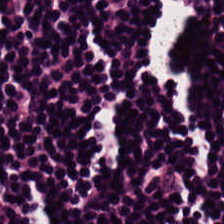224×224 px patch; H&E.
Q: What tissue is shown?
A: It is lymphocytic infiltrate.
